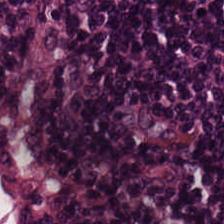H&E — lymphoid infiltrate.
